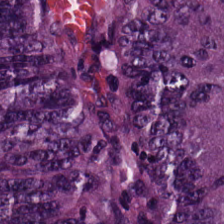Hematoxylin-and-eosin stained section — Showing adenocarcinoma.
